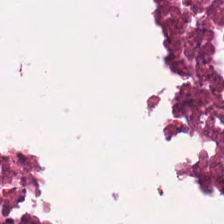H&E stain.
Q: Classify this patch.
A: This is debris.
